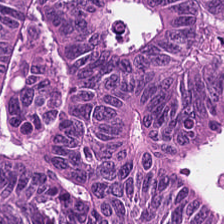H&E stain. Q: What is shown in this field?
A: The field shows adenocarcinoma.
